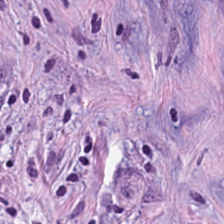Hematoxylin-and-eosin stained section.
Tissue type = cancer-associated stroma.
